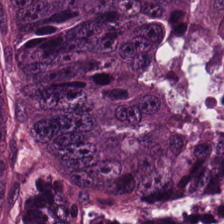Stain: H&E-stained tissue section.
Tile size: 224×224 px tile.
Resolution: 0.5 µm/px.
Predominant tissue: adenocarcinoma.
